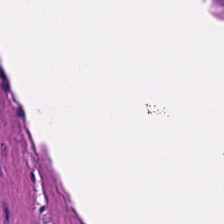H&E.
This field is smooth-muscle tissue.
